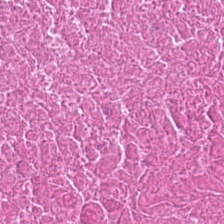H&E-stained tissue section.
Q: What tissue type is shown here?
A: Necrotic debris.
